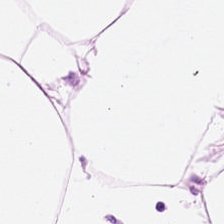FFPE tissue section; H&E.
{"tissue_type": "fat tissue"}
